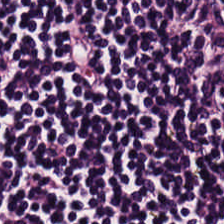This field is lymphocytes.
